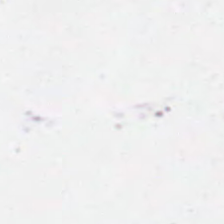FFPE tissue section. H&E-stained tissue section. 224×224 px patch — Q: What does this patch show?
A: It is empty background.
